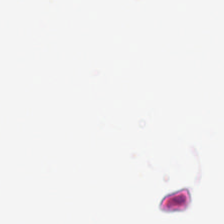H&E-stained tissue section. Whole-slide-image patch — Q: What is shown in this field?
A: This is background (no tissue).
